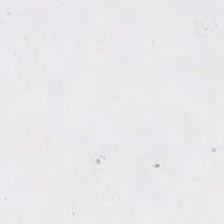H&E. WSI patch — This patch shows no tissue.
